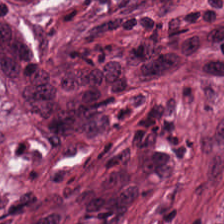Tissue class = cancer-associated stroma.
